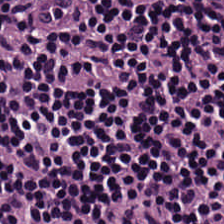Brightfield microscopy; hematoxylin and eosin — Tissue = lymphocyte aggregate.
